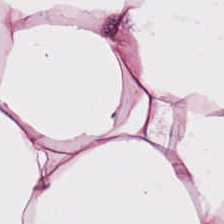Impression → adipose tissue.
